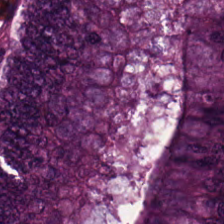Stain: H&E.
Preparation: FFPE tissue section.
Tissue: malignant epithelium.
